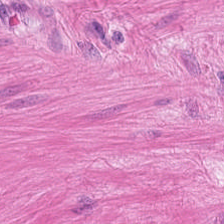Hematoxylin and eosin · 224×224 px tile · brightfield microscopy — Predominantly smooth-muscle tissue.
